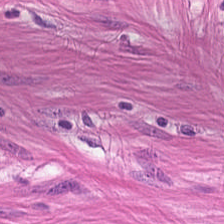H&E stain.
Finding — muscularis.
